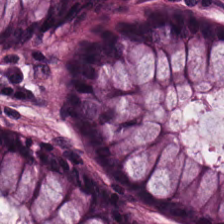The predominant tissue is non-neoplastic colon mucosa.
